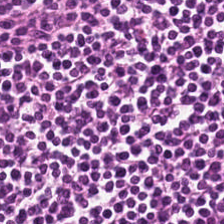H&E. Predominant tissue = lymphocytes.
